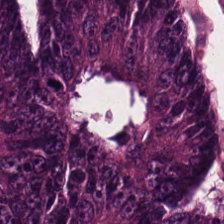Q: What is shown here?
A: Colorectal adenocarcinoma.
